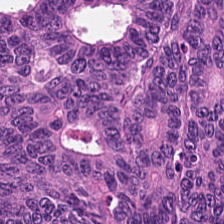224×224 px patch; H&E stain.
Impression — adenocarcinoma.
